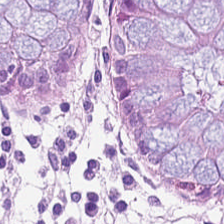Hematoxylin and eosin; WSI patch.
{"tissue_type": "normal colon mucosa"}
